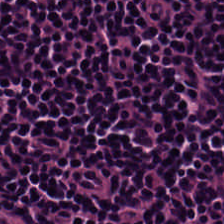Predominant tissue — lymphocytes.
